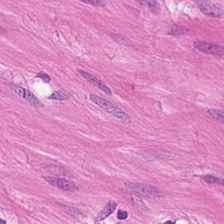Formalin-fixed paraffin-embedded section; H&E; 224×224 pixel tile — {"tissue_type": "smooth muscle"}
